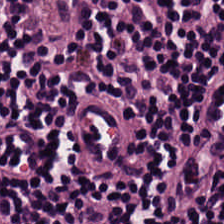Tissue type: lymphoid infiltrate.
